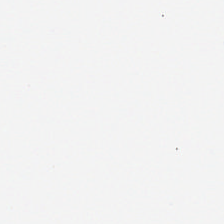224×224 pixel tile. Hematoxylin-and-eosin stained section.
This field is background (no tissue).
